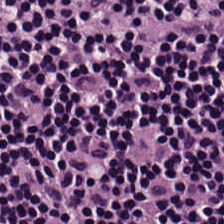Hematoxylin and eosin — The tissue class is lymphocytic infiltrate.
